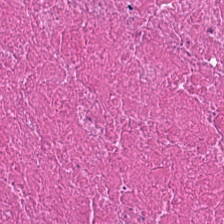Hematoxylin-and-eosin stained section.
Q: What tissue is shown?
A: Debris.
